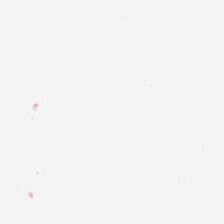Stain: H&E.
Classification: no tissue.
